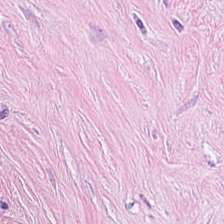Q: What type of tissue is this?
A: The field shows cancer-associated stroma.
